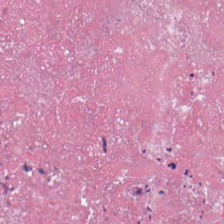H&E stain. Predominant tissue — necrotic debris.
